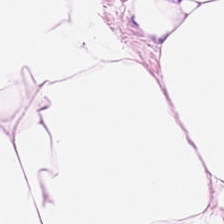Q: What tissue type is shown here?
A: It is adipocytes.
